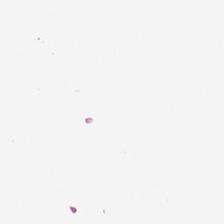Q: What is shown in this field?
A: It is no tissue.
